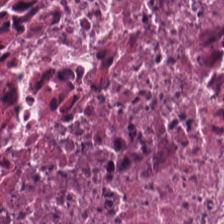Hematoxylin-and-eosin stained section.
Q: Identify the tissue.
A: The field shows necrotic debris.
